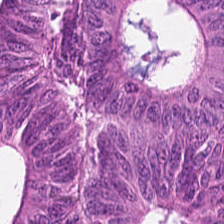Predominantly colorectal adenocarcinoma.
